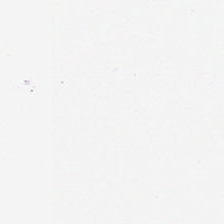H&E — Q: What is shown in this field?
A: It is background (no tissue).
